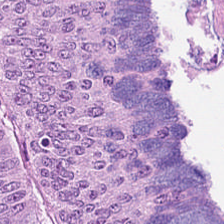Hematoxylin and eosin. Whole-slide-image patch. The predominant tissue is adenocarcinoma.
